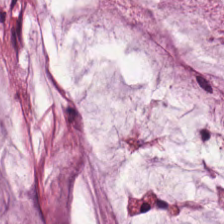H&E. Q: What does this patch show?
A: It is mucus.
